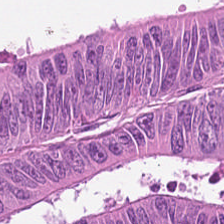Q: What tissue type is shown here?
A: Malignant epithelium.
